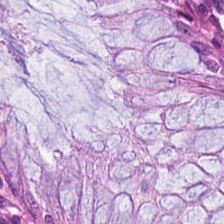224×224 pixel tile · brightfield · hematoxylin-and-eosin stained section — Q: What does this patch show?
A: Benign colonic mucosa.
